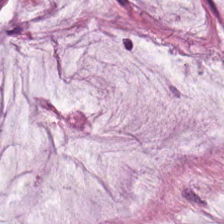H&E stain; 20× equivalent magnification. This field is mucin.
